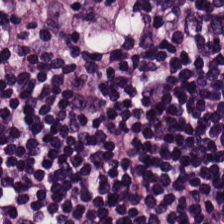224×224 pixel tile. H&E stain.
Predominantly lymphocytic infiltrate.
